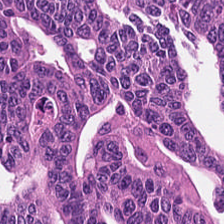Q: Classify this patch.
A: It is adenocarcinoma.
